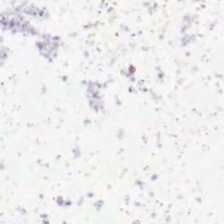224×224 pixel tile; FFPE tissue section; H&E. Q: What is shown here?
A: This is no tissue.
